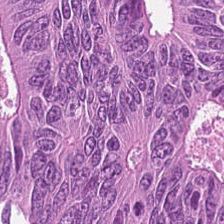0.5 µm per pixel · H&E stain · FFPE tissue section. Tumor epithelium.
